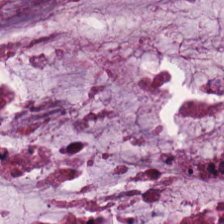The tissue here is mucus.
